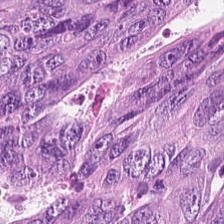224×224 pixel tile; H&E stain; FFPE.
Impression → colorectal adenocarcinoma epithelium.
